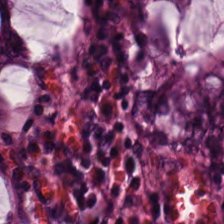H&E-stained tissue section. The classification is benign colonic mucosa.
